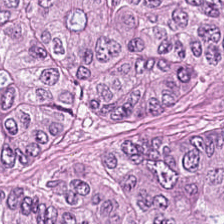The tissue here is adenocarcinoma.
